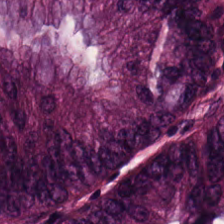224×224 px patch. H&E.
The tissue here is malignant epithelium.
